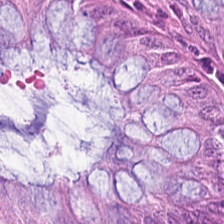Stain: hematoxylin-and-eosin stained section.
Tile size: 224×224 pixel tile.
Preparation: FFPE tissue section.
Tissue: normal colonic mucosa.
